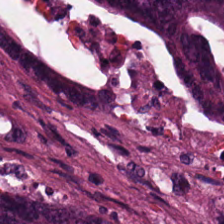Q: What is shown in this field?
A: It is colorectal adenocarcinoma epithelium.
